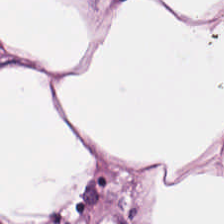H&E stain. Whole-slide-image patch. Formalin-fixed paraffin-embedded section.
Classification = adipose.
